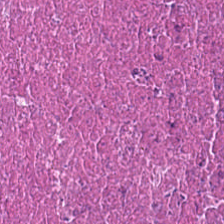H&E stain. Tissue — debris.
